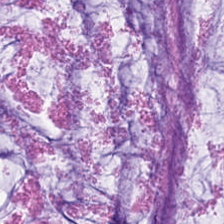Stain: H&E-stained tissue section.
Tissue type: extracellular mucin.
